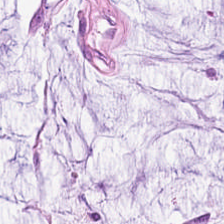0.5 µm/px. Hematoxylin and eosin. FFPE — The classification is mucus.
